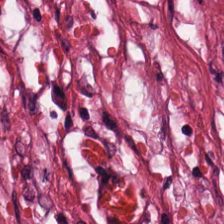H&E-stained tissue section. Classification = tumor stroma.
